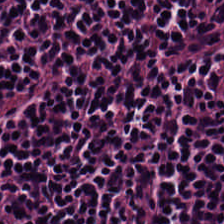WSI patch · H&E · FFPE tissue section. This patch shows lymphocyte aggregate.
